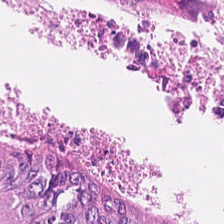H&E-stained tissue section.
Tumor epithelium.
